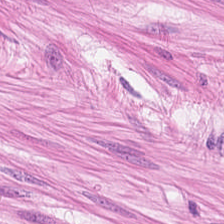Q: What tissue is shown?
A: This is smooth-muscle tissue.
